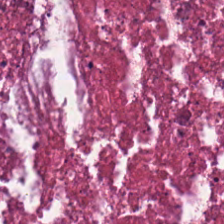H&E-stained tissue section — Q: What is the predominant tissue type?
A: It is debris.
